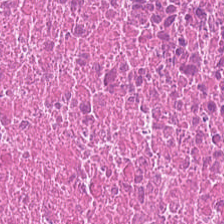H&E-stained tissue section.
The tissue here is debris.
